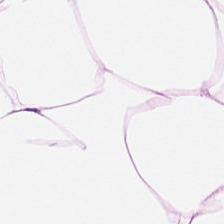Predominantly adipocytes.
